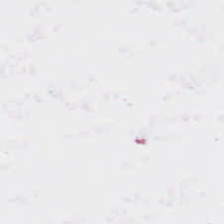20× equivalent magnification. H&E-stained tissue section. FFPE.
Q: Classify this patch.
A: This is no tissue.
